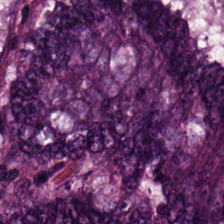FFPE tissue section · 224×224 px patch · H&E stain. Tissue type = malignant epithelium.
